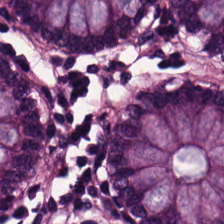H&E. The predominant tissue is benign colonic mucosa.
